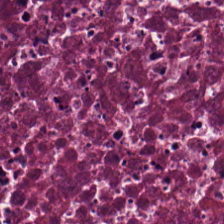Q: What tissue type is shown here?
A: Debris.
